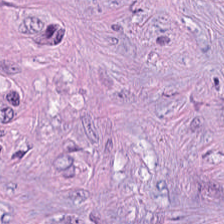Stain: H&E.
Predominant tissue: cancer-associated stroma.
